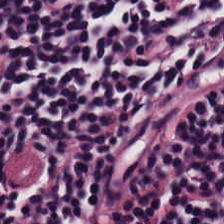Hematoxylin-and-eosin stained section; 20× equivalent magnification; FFPE tissue section.
{"tissue_type": "lymphocyte aggregate"}
